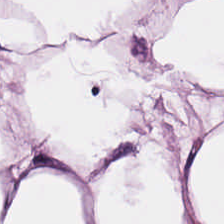Brightfield microscopy; H&E stain. This patch shows adipocytes.
